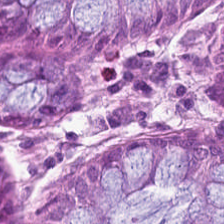H&E-stained tissue section. Finding — benign colonic mucosa.
